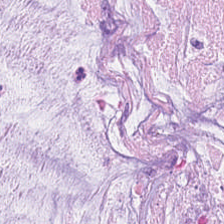H&E stain. Impression → extracellular mucin.
